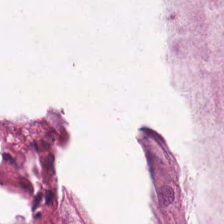H&E. Classification = mucus.
